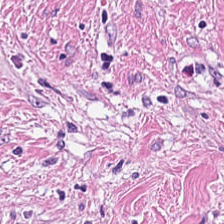H&E stain — Q: What does this patch show?
A: It is desmoplastic stroma.
